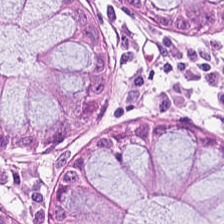Tissue: non-neoplastic colon mucosa.
